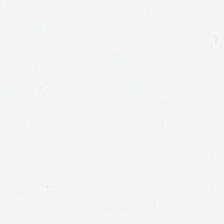Formalin-fixed paraffin-embedded section. H&E-stained tissue section.
Q: What is shown in this field?
A: It is no tissue.
